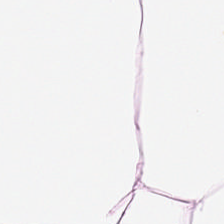H&E.
This patch shows adipose tissue.
